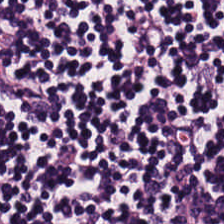The predominant tissue is lymphoid infiltrate.
